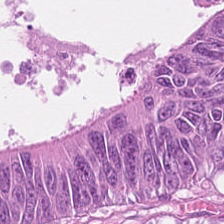0.5 microns per pixel; hematoxylin and eosin — {"tissue_type": "adenocarcinoma"}
